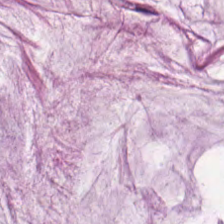Predominant tissue = extracellular mucin.
